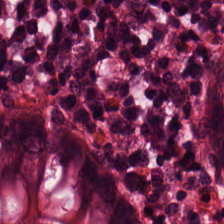H&E stain; 0.5 µm/px; FFPE. Predominantly normal colon mucosa.
